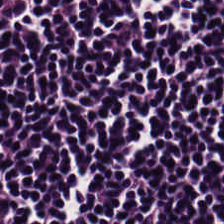H&E; FFPE; WSI patch.
Classification = lymphocyte aggregate.
